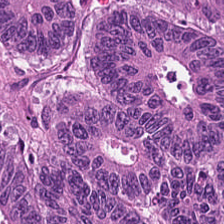0.5 microns per pixel; brightfield microscopy; hematoxylin and eosin. The tissue here is colorectal adenocarcinoma.
